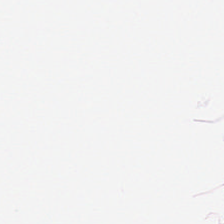Stain: H&E.
Resolution: 20× equivalent magnification.
Tissue class: fat tissue.
